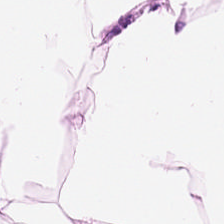FFPE tissue section · hematoxylin-and-eosin stained section · 224×224 px tile. Predominant tissue: adipose.
